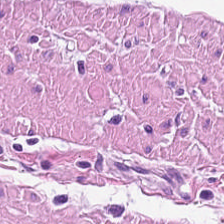Stain: hematoxylin-and-eosin stained section.
Preparation: FFPE tissue section.
Tile size: 224×224 px patch.
Classification: muscularis.
